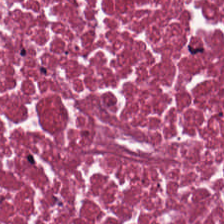{"tissue_type": "necrotic debris"}
